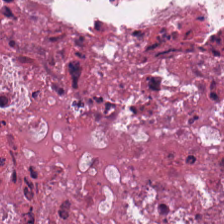224×224 px tile · formalin-fixed paraffin-embedded section · H&E-stained tissue section.
This field is necrotic debris.
